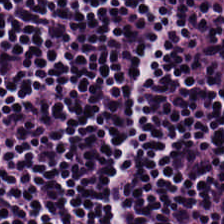H&E.
{"tissue_type": "lymphocytic infiltrate"}
